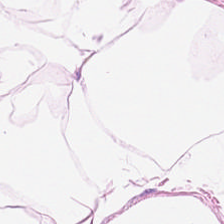H&E patch showing adipocytes.
